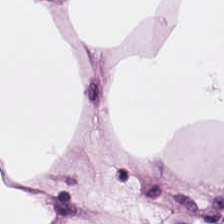Stain: hematoxylin-and-eosin stained section.
Classification: adipose tissue.
